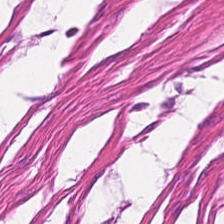Hematoxylin and eosin. Q: What is the predominant tissue type?
A: The field shows smooth-muscle tissue.
